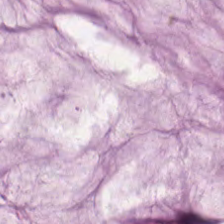Formalin-fixed paraffin-embedded section. H&E stain.
Q: What tissue type is shown here?
A: Mucus.
